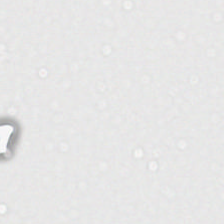Hematoxylin-and-eosin stained section. Background — no tissue in this field.
